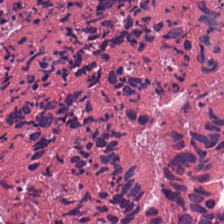H&E stain · brightfield — Tissue type = necrotic debris.
